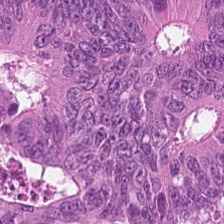Colorectal adenocarcinoma epithelium.
